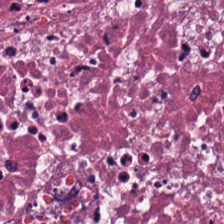H&E — Predominantly cellular debris.
